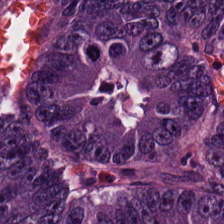Stain: H&E.
Classification: adenocarcinoma.
